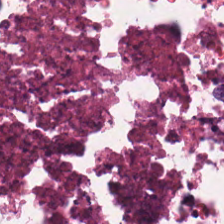H&E stain.
Q: What tissue type is shown here?
A: Debris.
